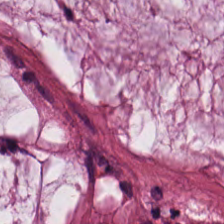H&E — Tissue class = mucin.
